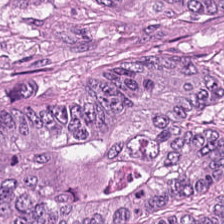224×224 px patch · 0.5 microns per pixel · hematoxylin and eosin.
{"tissue_type": "colorectal adenocarcinoma epithelium"}
